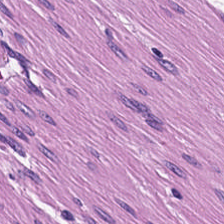Tissue: smooth muscle.
